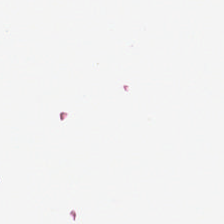Finding — empty background.
